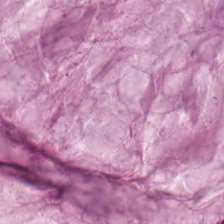H&E-stained section; the field shows mucus.
